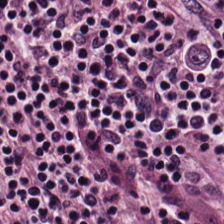Q: What does this patch show?
A: Lymphocyte aggregate.
